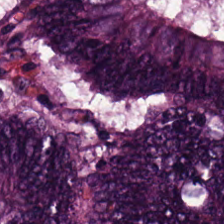H&E stain.
Q: What tissue type is shown here?
A: Adenocarcinoma.
